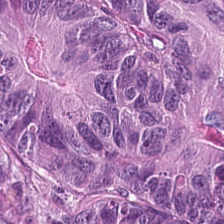H&E-stained tissue section. The predominant tissue is tumor epithelium.
